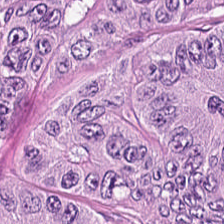Hematoxylin and eosin. Predominant tissue — adenocarcinoma.
